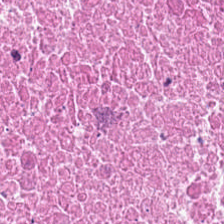H&E stain — The predominant tissue is cellular debris.
